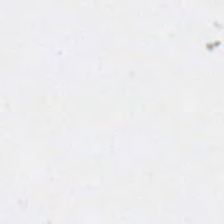Hematoxylin and eosin.
Field content: empty background.
